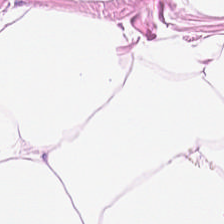Hematoxylin and eosin. FFPE.
Tissue class: adipocytes.
